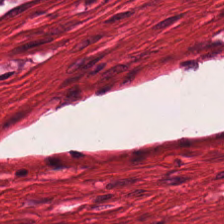FFPE tissue section · H&E stain.
Q: What is shown here?
A: The field shows smooth-muscle tissue.
